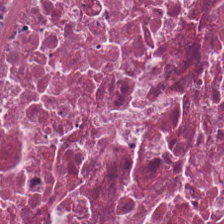H&E stain. Histology — debris.
